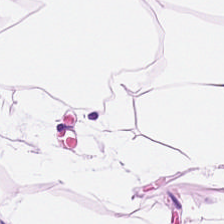20× equivalent magnification; hematoxylin-and-eosin stained section; whole-slide-image patch.
Showing fat tissue.
